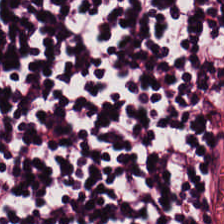Hematoxylin-and-eosin stained section · FFPE tissue section · brightfield microscopy. Tissue class: lymphocytes.
